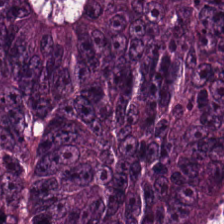H&E-stained tissue section — Tissue — colorectal adenocarcinoma.
